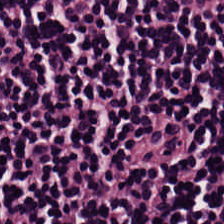Hematoxylin-and-eosin stained section — Q: What is shown in this field?
A: It is lymphocytic infiltrate.
